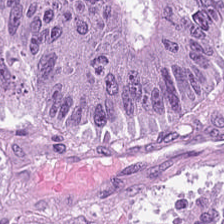Stain: H&E stain.
Tissue class: colorectal adenocarcinoma epithelium.
